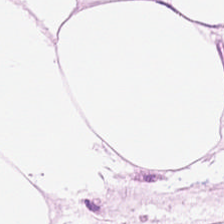H&E-stained tissue section showing adipocytes.
